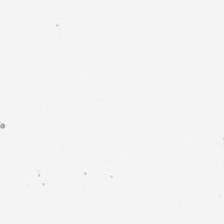No tissue.
